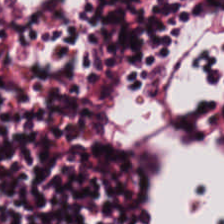Tissue type: lymphocytic infiltrate.
